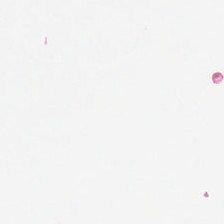0.5 µm per pixel · H&E-stained tissue section.
Q: What does this patch show?
A: This is no tissue.
